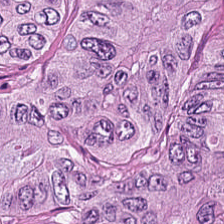H&E; brightfield microscopy.
This field is adenocarcinoma.
